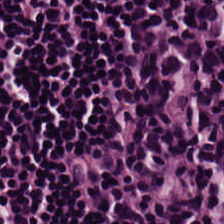224×224 pixel tile · hematoxylin-and-eosin stained section · 0.5 microns per pixel. This field is lymphocytes.
